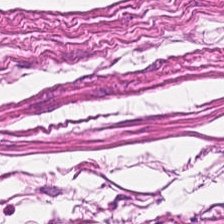H&E stain · 20× equivalent magnification · 224×224 px patch.
Q: What does this patch show?
A: This is smooth-muscle tissue.
